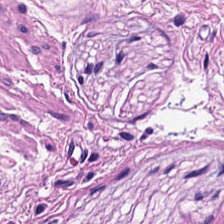H&E stain.
Predominantly smooth muscle.
